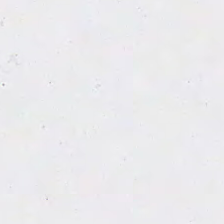This patch shows background (no tissue).
